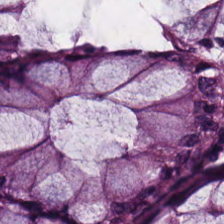224×224 px tile; hematoxylin and eosin; 0.5 µm/px. Q: Classify this patch.
A: It is non-neoplastic colon mucosa.
